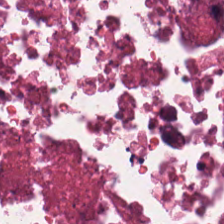Stain: H&E-stained tissue section.
Tile size: 224×224 px tile.
Tissue: necrotic debris.
